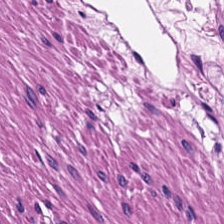Tissue — smooth-muscle tissue.
